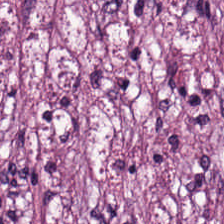Histology — tumor stroma.
